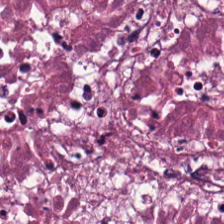{"tissue_type": "debris"}
